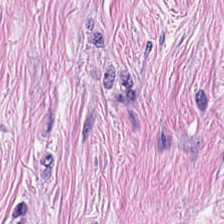H&E-stained tissue section — Tumor stroma.
